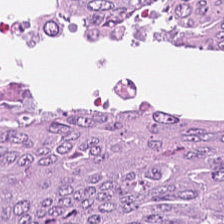Brightfield. H&E stain — This patch shows colorectal adenocarcinoma.
